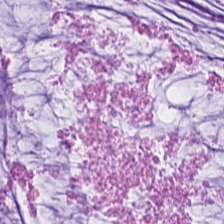The tissue here is mucin.
